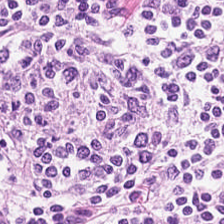Stain: hematoxylin-and-eosin stained section.
Acquisition: brightfield microscopy.
Tissue class: lymphocyte aggregate.
